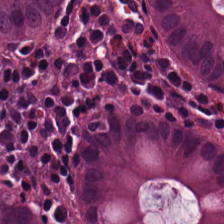Hematoxylin and eosin. Impression → benign colonic mucosa.
